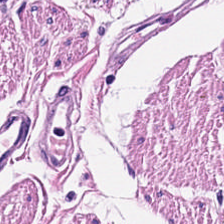FFPE tissue section; 224×224 pixel tile; H&E. Showing muscularis.
